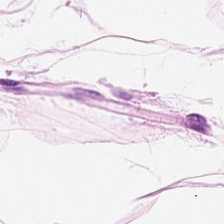H&E-stained tissue section; formalin-fixed paraffin-embedded section; 0.5 microns per pixel. Tissue = adipose tissue.
